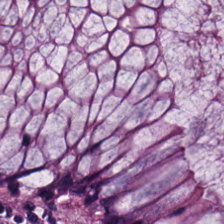Hematoxylin-and-eosin stained section.
Histology → normal colon mucosa.
